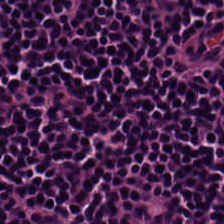Hematoxylin and eosin · 0.5 µm/px — Impression — lymphocytic infiltrate.
